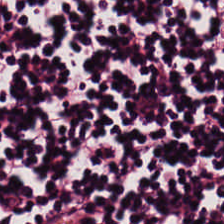Hematoxylin-and-eosin stained section · brightfield.
Lymphoid infiltrate.
